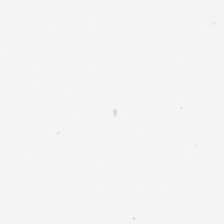H&E. This patch shows background (no tissue).
